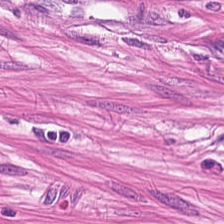H&E-stained tissue section; 224×224 px patch. Predominantly smooth muscle.
